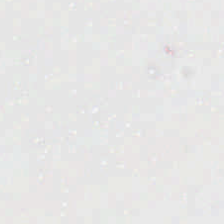Hematoxylin and eosin; 0.5 microns per pixel; 224×224 px tile — {"content": "empty background"}
